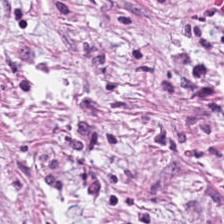H&E-stained tissue section — The predominant tissue is cancer-associated stroma.
